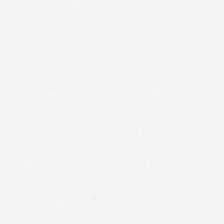Q: What is shown in this field?
A: Empty background.
